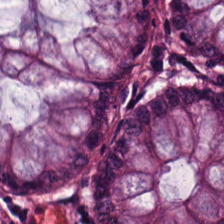Brightfield microscopy; H&E-stained tissue section; 224×224 pixel tile. Q: Classify this patch.
A: This is normal colonic mucosa.
